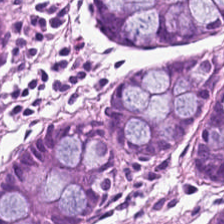Hematoxylin-and-eosin stained section. This patch shows normal colon mucosa.
